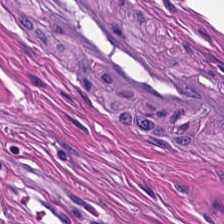Hematoxylin and eosin; 20× equivalent magnification — The predominant tissue is smooth muscle.
